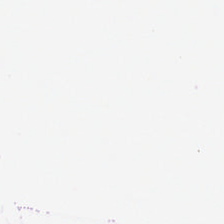H&E.
This field is background (no tissue).
